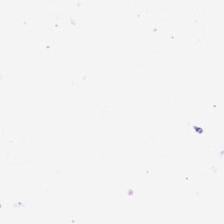Stain: hematoxylin and eosin.
Classification: background (no tissue).
